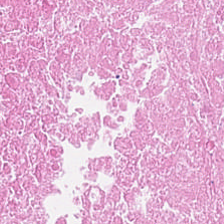Hematoxylin-and-eosin stained section · 224×224 pixel tile · formalin-fixed paraffin-embedded section. Classification = necrotic debris.
